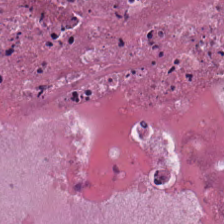Finding — necrotic debris.
